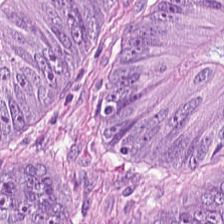Hematoxylin-and-eosin stained section · 224×224 pixel tile — Predominantly malignant epithelium.
